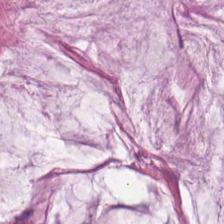{"tissue_type": "mucin"}
